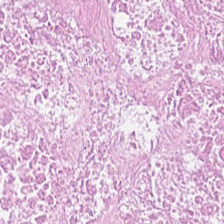The tissue here is necrotic debris.
